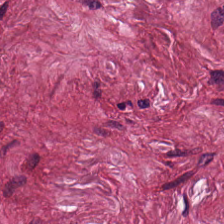Q: What tissue is shown?
A: The field shows tumor stroma.
